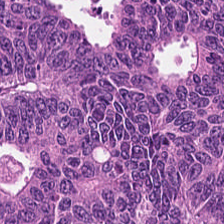H&E — Histology — adenocarcinoma.
